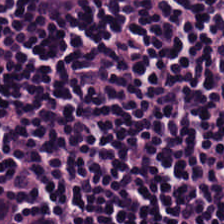Finding → lymphocytes.
